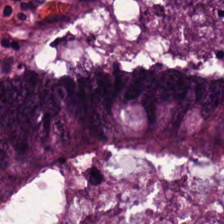H&E-stained tissue section — This patch shows tumor epithelium.
